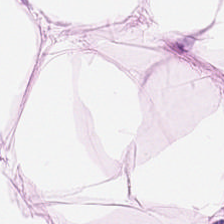H&E-stained tissue section — Histology — adipocytes.
